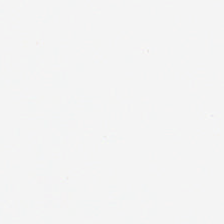FFPE tissue section. 224×224 pixel tile. H&E-stained tissue section. The content is background (no tissue).
